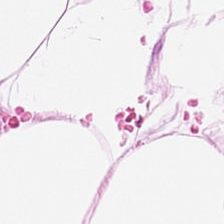H&E-stained tissue section. FFPE — Q: What is shown in this field?
A: It is fat tissue.
